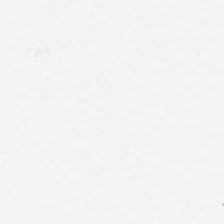Hematoxylin and eosin · FFPE. Classification — background.
